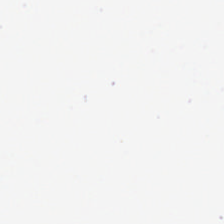H&E.
Q: What does this patch show?
A: It is no tissue.
